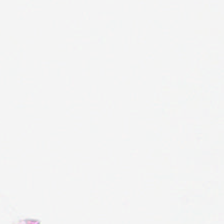0.5 µm per pixel · formalin-fixed paraffin-embedded section · H&E stain — Field content — background.
